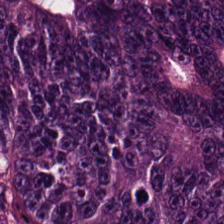Stain: H&E-stained tissue section.
Classification: colorectal adenocarcinoma.
